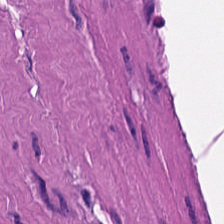Stain: H&E.
Preparation: FFPE.
Classification: smooth-muscle tissue.
